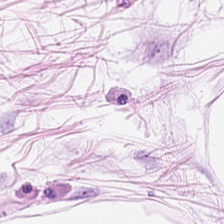Hematoxylin-and-eosin stained section. Predominant tissue = adipocytes.
